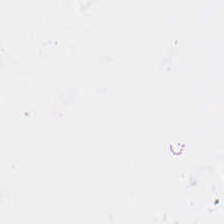Background — no tissue in this field.
